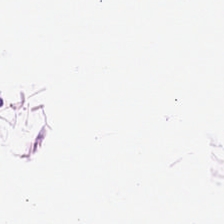H&E-stained tissue section — Histology — adipocytes.
